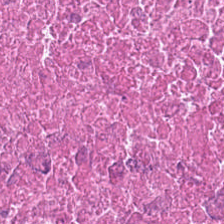Tissue = cellular debris.
